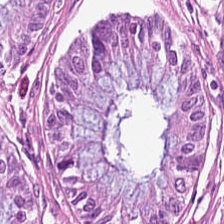The tissue class is normal colonic mucosa.
